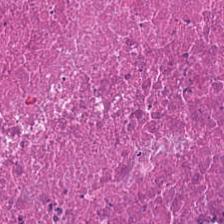Predominantly necrotic debris.
